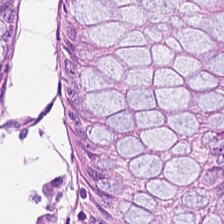H&E · 0.5 microns per pixel.
Non-neoplastic colon mucosa.
